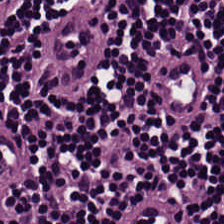Hematoxylin and eosin.
Showing lymphoid infiltrate.
